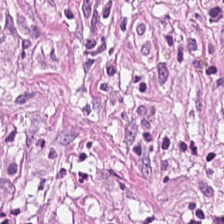H&E.
Finding — tumor-associated stroma.
